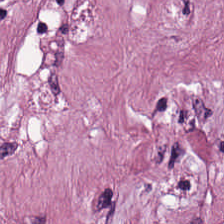Classification: cancer-associated stroma.
